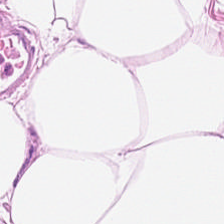{"tissue_type": "adipocytes"}
